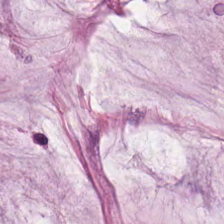H&E stain. 0.5 µm/px.
Showing mucin.
